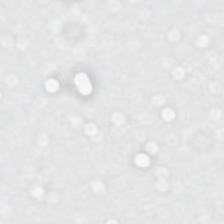0.5 microns per pixel · H&E stain.
Empty field — background.
